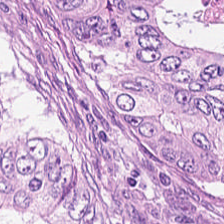Finding — colorectal adenocarcinoma epithelium.
